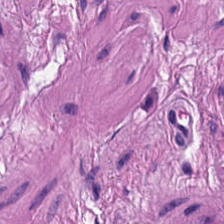Brightfield; hematoxylin-and-eosin stained section; 224×224 px patch. Q: What tissue is shown?
A: Muscularis.
